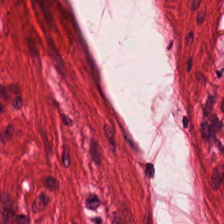H&E · formalin-fixed paraffin-embedded section.
{"tissue_type": "smooth muscle"}
